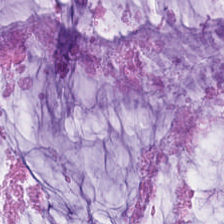Q: What type of tissue is this?
A: This is mucin.
